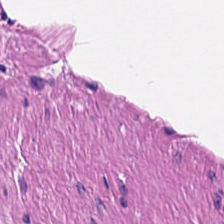Hematoxylin and eosin · brightfield microscopy.
This field is smooth muscle.
